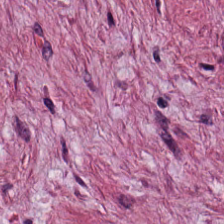0.5 µm/px; WSI patch; H&E. The tissue is tumor-associated stroma.
